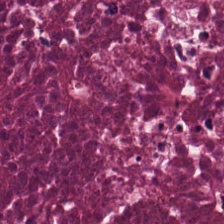H&E stain.
The predominant tissue is debris.
